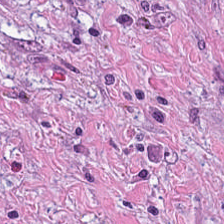H&E. This field is desmoplastic stroma.
